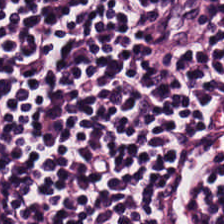Hematoxylin and eosin.
The tissue type is lymphocytes.
